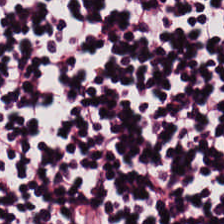Hematoxylin and eosin. 224×224 pixel tile. Lymphocyte aggregate.
